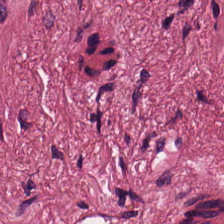H&E stain.
The classification is tumor stroma.
